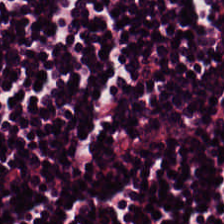Brightfield; H&E stain. Tissue class = lymphocyte aggregate.
